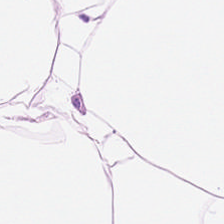Q: What tissue type is shown here?
A: The field shows adipocytes.
